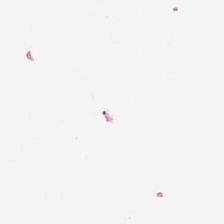Stain: H&E stain.
Field content: no tissue.
